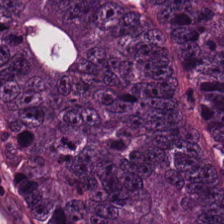H&E stain. Predominant tissue = adenocarcinoma.
